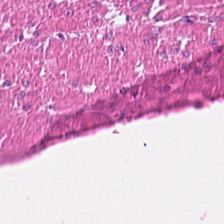Hematoxylin and eosin.
Smooth-muscle tissue.
